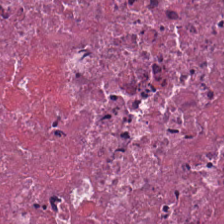Hematoxylin-and-eosin stained section.
Showing cellular debris.
